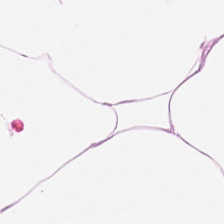Hematoxylin and eosin — This field is adipose.
